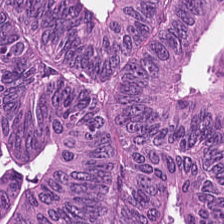H&E-stained tissue section. Adenocarcinoma.
